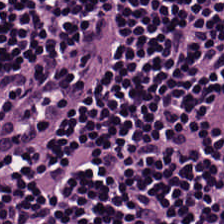Stain: H&E stain.
Tissue type: lymphocyte aggregate.
